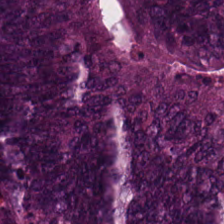The tissue class is colorectal adenocarcinoma.
